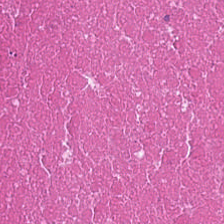H&E — Tissue class: necrotic debris.
